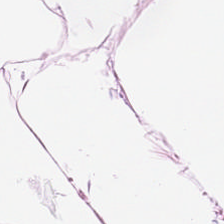Impression → adipose tissue.
